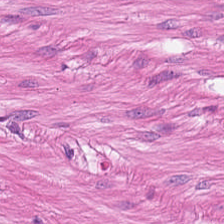H&E. Q: What does this patch show?
A: Smooth muscle.
